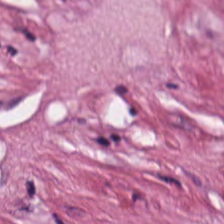Stain: hematoxylin and eosin.
Tissue: cancer-associated stroma.
